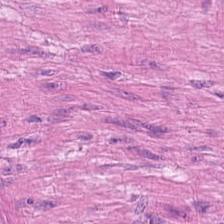Formalin-fixed paraffin-embedded section. Hematoxylin and eosin — Q: What does this patch show?
A: It is smooth-muscle tissue.
